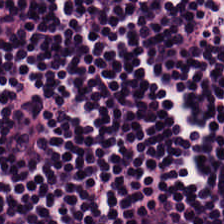Formalin-fixed paraffin-embedded section · H&E-stained tissue section.
Tissue type — lymphocytic infiltrate.
